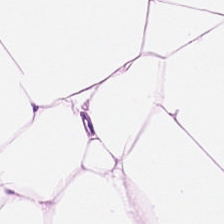Tissue type = adipose.
